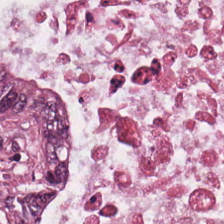Hematoxylin-and-eosin stained section; FFPE tissue section; 0.5 microns per pixel — This patch shows malignant epithelium.
